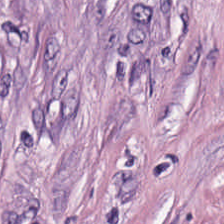H&E stain — The predominant tissue is desmoplastic stroma.
